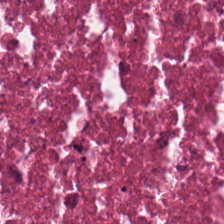H&E. FFPE. Impression — necrotic debris.
